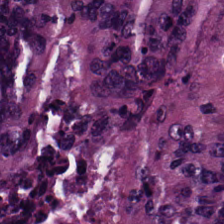Formalin-fixed paraffin-embedded section; H&E-stained tissue section.
Impression → malignant epithelium.
